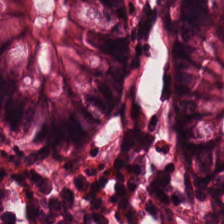Hematoxylin and eosin — Predominantly normal colon mucosa.
